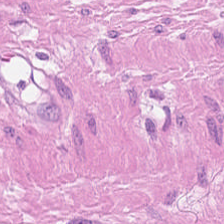Hematoxylin-and-eosin stained section — {"tissue_type": "smooth muscle"}
